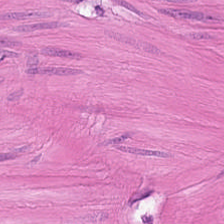Tissue type — smooth-muscle tissue.
